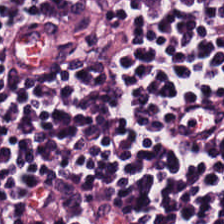Q: What tissue is shown?
A: This is lymphocyte aggregate.
